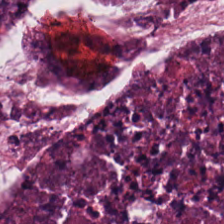H&E — debris.
